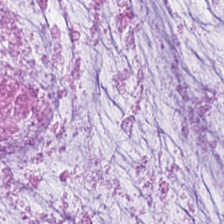H&E-stained tissue section.
Histology → mucin.
